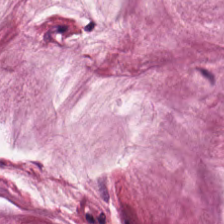Predominantly extracellular mucin.
